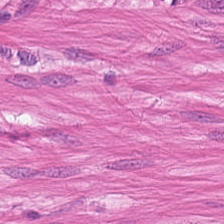Hematoxylin-and-eosin stained section; brightfield microscopy — This field is smooth muscle.
